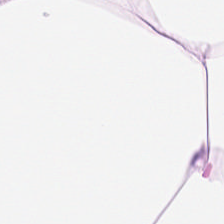This patch shows fat tissue.
